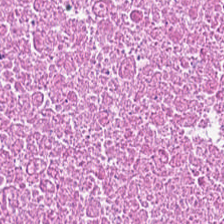H&E-stained tissue section — The predominant tissue is cellular debris.
